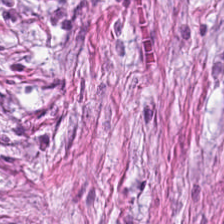H&E.
Tissue type — tumor stroma.
